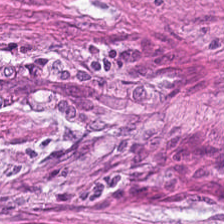H&E · FFPE · WSI patch.
The predominant tissue is tumor-associated stroma.
